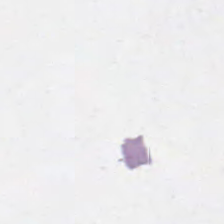H&E-stained tissue section — The content is background (no tissue).
